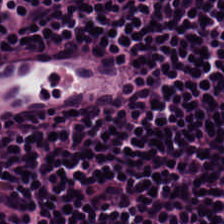Hematoxylin-and-eosin stained section. This patch shows lymphocyte aggregate.
